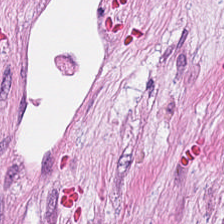Predominant tissue — tumor-associated stroma.
